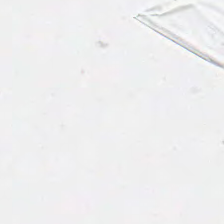Stain: hematoxylin and eosin.
Resolution: 0.5 µm per pixel.
Acquisition: brightfield.
Content: empty background.
